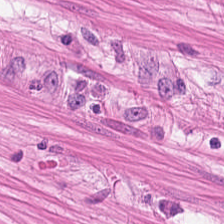H&E-stained tissue section.
Smooth-muscle tissue.
